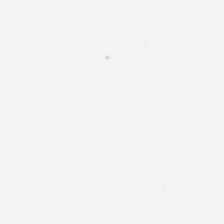Empty field — background (no tissue).
